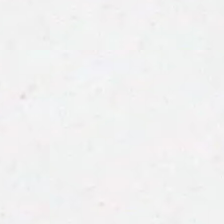Histology → background.
